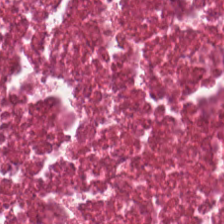H&E. 20× equivalent magnification.
Q: What does this patch show?
A: It is cellular debris.
